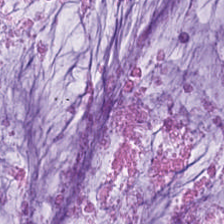Formalin-fixed paraffin-embedded section · H&E-stained tissue section. Finding — mucin.
